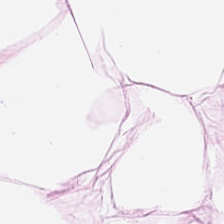H&E; 224×224 pixel tile; formalin-fixed paraffin-embedded section — The classification is adipose tissue.
